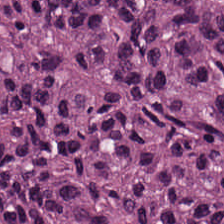The tissue type is tumor epithelium.
